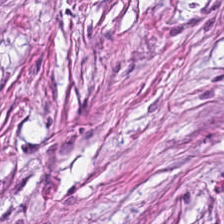H&E-stained tissue section. Finding — desmoplastic stroma.
